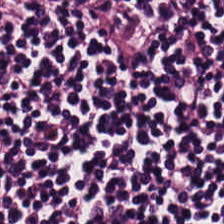Tissue type: lymphocytes.
